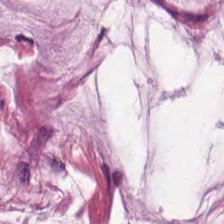Stain: H&E stain.
Acquisition: whole-slide-image patch.
Tile size: 224×224 px patch.
Classification: extracellular mucin.
